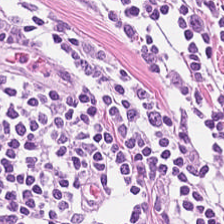WSI patch; hematoxylin-and-eosin stained section.
Lymphocyte aggregate.
